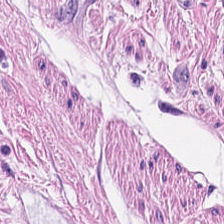H&E — This patch shows smooth-muscle tissue.
